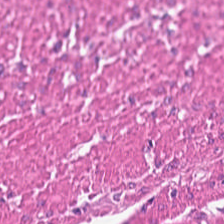Q: What is the predominant tissue type?
A: Muscularis.
